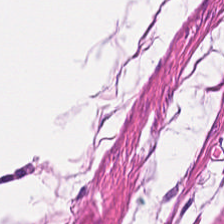Hematoxylin and eosin — Histology → smooth-muscle tissue.
